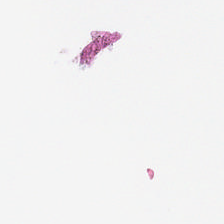H&E — {"content": "no tissue"}
